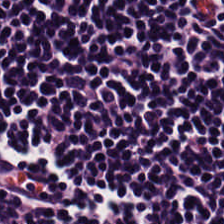224×224 pixel tile · H&E stain. Tissue type: lymphocyte aggregate.
